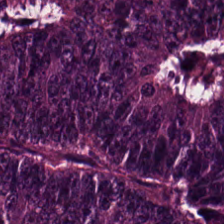Hematoxylin and eosin.
Showing adenocarcinoma.
